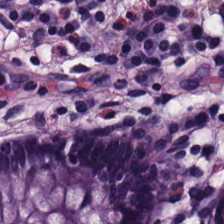H&E-stained tissue section; FFPE tissue section.
Predominantly benign colonic mucosa.
